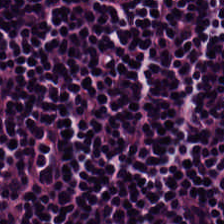FFPE. Brightfield. Hematoxylin and eosin — This field is lymphocytic infiltrate.
